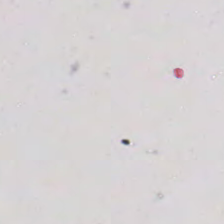H&E stain.
Q: Classify this patch.
A: It is empty background.
